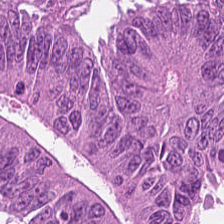The tissue type is malignant epithelium.
